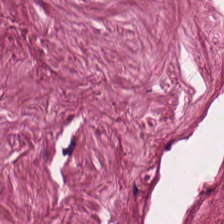H&E-stained tissue section.
The tissue here is desmoplastic stroma.
